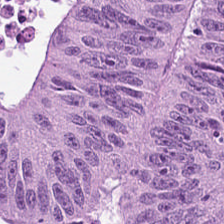Stain: hematoxylin and eosin.
Tile size: 224×224 px patch.
Tissue type: colorectal adenocarcinoma.
